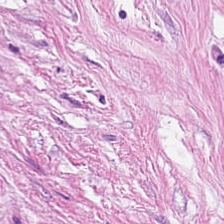Stain: H&E-stained tissue section.
Acquisition: brightfield microscopy.
Tissue class: cancer-associated stroma.
